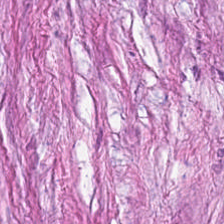H&E; brightfield microscopy. Q: Classify this patch.
A: It is tumor-associated stroma.
